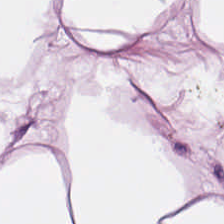Hematoxylin-and-eosin stained section.
Predominant tissue = adipocytes.
